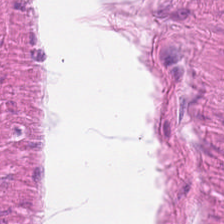{"tissue_type": "smooth muscle"}
